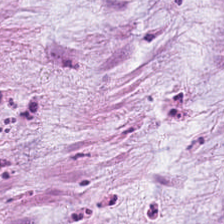H&E-stained tissue section — This field is mucus.
